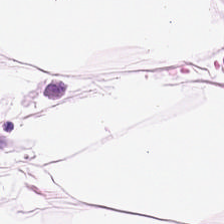H&E stain; brightfield microscopy; 224×224 px patch.
This patch shows adipocytes.
